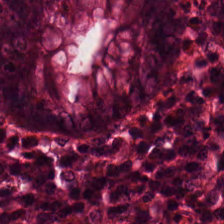H&E stain. The tissue type is non-neoplastic colon mucosa.
